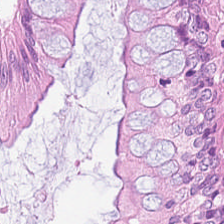Hematoxylin-and-eosin section: normal colon mucosa.
